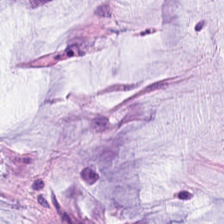H&E stain · 0.5 µm/px.
The predominant tissue is mucin.
